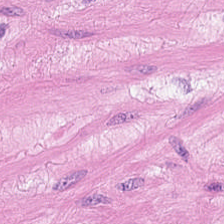H&E — Q: What does this patch show?
A: Muscularis.
